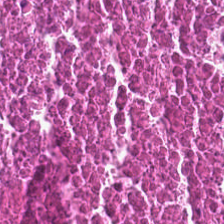H&E. Formalin-fixed paraffin-embedded section. 224×224 pixel tile. Classification: necrotic debris.
